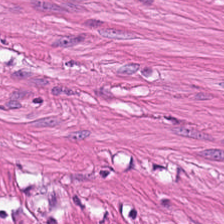WSI patch · 224×224 px tile · H&E stain. Q: Classify this patch.
A: The field shows smooth-muscle tissue.
